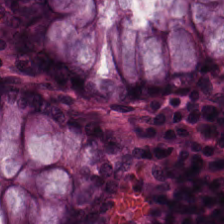Formalin-fixed paraffin-embedded section · H&E stain · WSI patch — This field is benign colonic mucosa.
